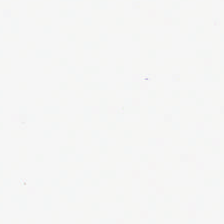Hematoxylin-and-eosin stained section; WSI patch.
This patch shows empty background.
